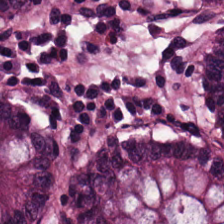Stain: hematoxylin and eosin.
Tissue: normal colonic mucosa.
